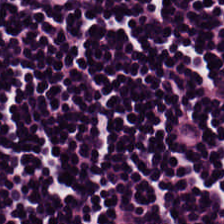Finding — lymphocytes.
